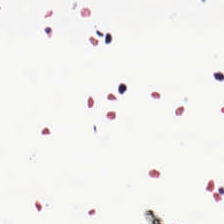H&E-stained tissue section. Content: background (no tissue).
